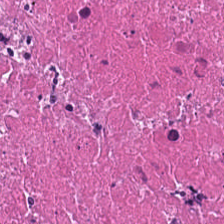H&E stain. Tissue class — debris.
